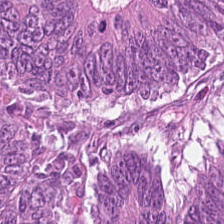FFPE. 224×224 px tile. H&E-stained tissue section.
This field is tumor epithelium.
